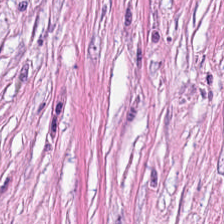FFPE tissue section. Hematoxylin-and-eosin stained section — This field is tumor stroma.
